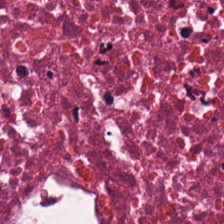Hematoxylin and eosin; FFPE.
Tissue class = debris.
